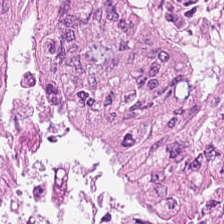Hematoxylin and eosin. Formalin-fixed paraffin-embedded section — Predominant tissue — adenocarcinoma.
